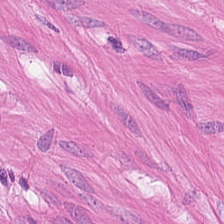Finding → muscularis.
